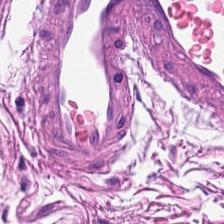H&E stain. Brightfield microscopy. FFPE. The predominant tissue is smooth muscle.
